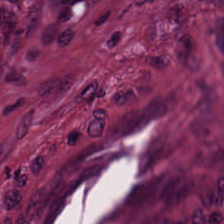H&E-stained section; the field shows cancer-associated stroma.
